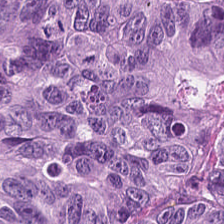Predominantly adenocarcinoma.
